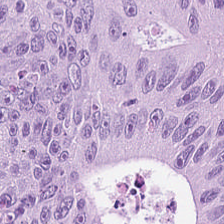Hematoxylin and eosin. 224×224 px patch.
Showing colorectal adenocarcinoma epithelium.
